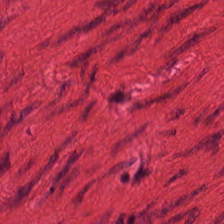Brightfield microscopy. H&E. The predominant tissue is muscularis.
